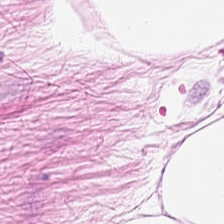H&E-stained tissue section. 0.5 µm/px. The tissue type is fat tissue.
